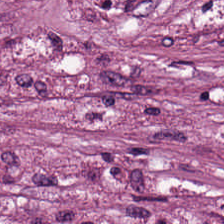H&E · FFPE tissue section.
The tissue class is desmoplastic stroma.
